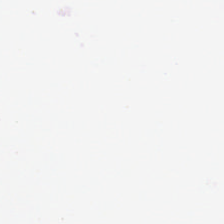WSI patch · 224×224 px tile · H&E.
Background — no tissue in this field.
